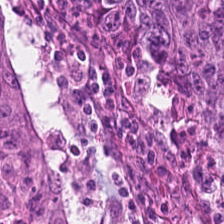Stain: hematoxylin and eosin.
Preparation: formalin-fixed paraffin-embedded section.
Tissue: malignant epithelium.
